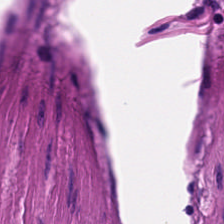Hematoxylin and eosin.
The predominant tissue is smooth muscle.
